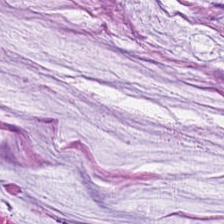H&E-stained tissue section · 224×224 px patch — The predominant tissue is mucus.
